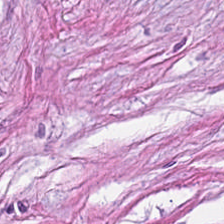Stain: hematoxylin and eosin.
Tissue type: desmoplastic stroma.
